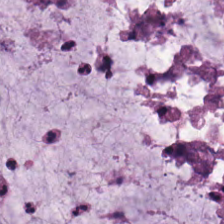0.5 µm per pixel. H&E stain — Tissue — mucus.
